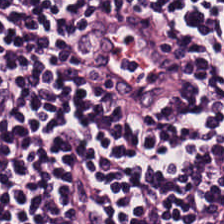Stain: hematoxylin and eosin.
Tile size: 224×224 px tile.
Classification: lymphocytic infiltrate.
